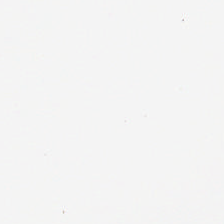H&E-stained tissue section.
Content: background.
